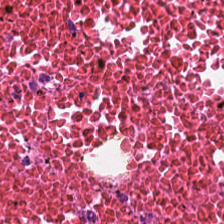Whole-slide-image patch. H&E stain. Finding — necrotic debris.
